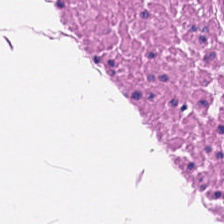H&E. 0.5 µm per pixel — Finding — smooth-muscle tissue.
